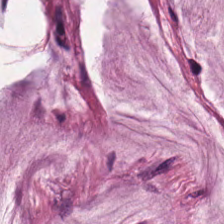Formalin-fixed paraffin-embedded section · hematoxylin and eosin — Q: What tissue type is shown here?
A: It is mucus.
